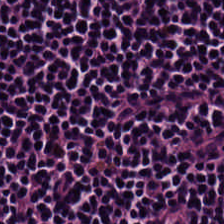H&E stain. FFPE tissue section.
Finding → lymphocyte aggregate.
